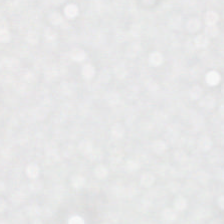0.5 microns per pixel. H&E stain. 224×224 px tile. This patch shows background (no tissue).
